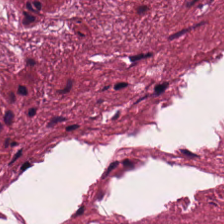Hematoxylin and eosin. This patch shows tumor-associated stroma.
